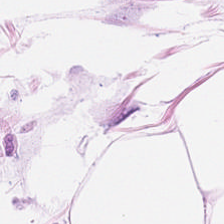Hematoxylin and eosin.
Tissue = fat tissue.
